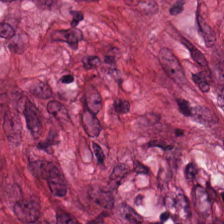H&E-stained tissue section — {"tissue_type": "tumor stroma"}
